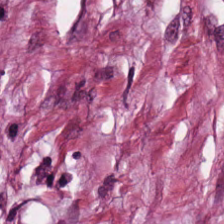H&E stain. Histology — tumor-associated stroma.
